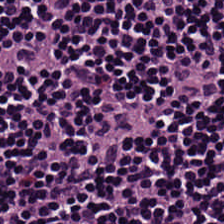Hematoxylin and eosin. 224×224 pixel tile. 0.5 microns per pixel. The predominant tissue is lymphocytes.
